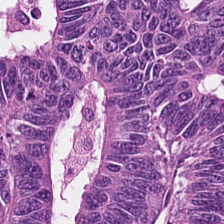This field is tumor epithelium.
